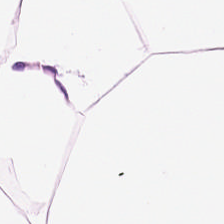224×224 px patch · hematoxylin and eosin. Showing adipocytes.
